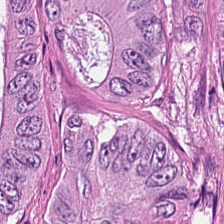H&E-stained tissue section. 0.5 µm per pixel — Predominant tissue: colorectal adenocarcinoma.
